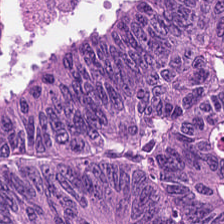Hematoxylin and eosin — Histology — malignant epithelium.
